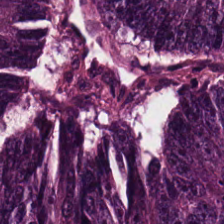H&E.
This patch shows adenocarcinoma.
